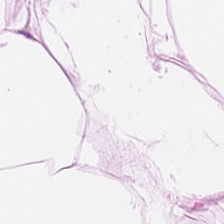Hematoxylin and eosin. The predominant tissue is adipocytes.
